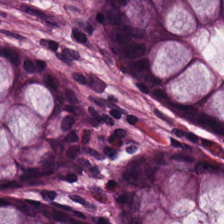H&E — normal colon mucosa.
